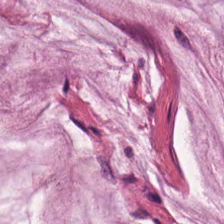Hematoxylin-and-eosin stained section. Showing extracellular mucin.
